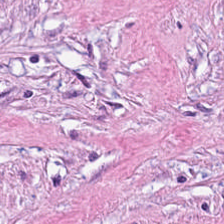WSI patch. H&E-stained tissue section. Q: What is the predominant tissue type?
A: It is desmoplastic stroma.
